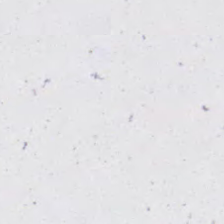Hematoxylin-and-eosin stained section — Empty field — no tissue.
